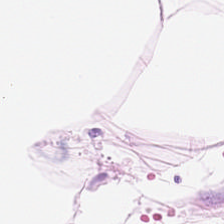H&E stain.
Impression — adipocytes.
